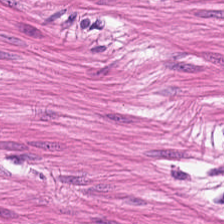Brightfield. Hematoxylin-and-eosin stained section. Formalin-fixed paraffin-embedded section.
Q: What tissue type is shown here?
A: This is muscularis.
